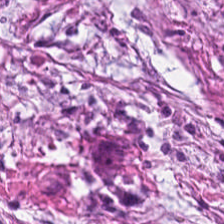20× equivalent magnification. H&E-stained tissue section. The predominant tissue is desmoplastic stroma.
